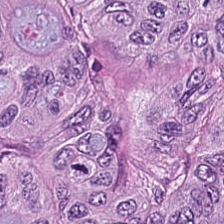Predominant tissue = colorectal adenocarcinoma epithelium.
